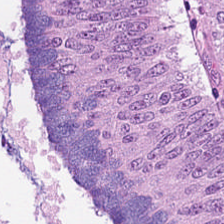Hematoxylin-and-eosin stained section. This patch shows colorectal adenocarcinoma epithelium.
